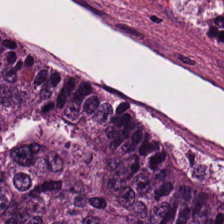H&E stain; 0.5 µm per pixel — Q: Identify the tissue.
A: The field shows adenocarcinoma.
